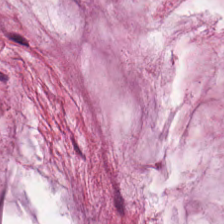Stain: hematoxylin and eosin.
Predominant tissue: extracellular mucin.
